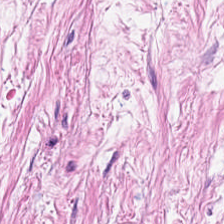H&E-stained tissue section.
This patch shows desmoplastic stroma.
